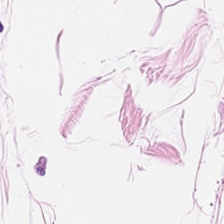H&E.
Adipocytes.
